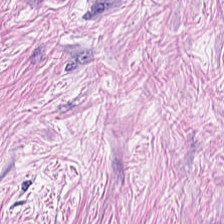Tissue = cancer-associated stroma.
